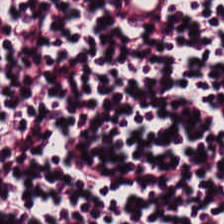Whole-slide-image patch · hematoxylin and eosin.
Predominant tissue — lymphocytic infiltrate.
